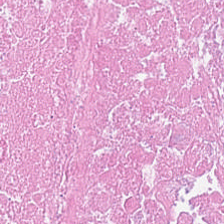Tissue class: debris.
